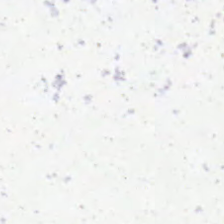H&E stain. 224×224 px tile. Content = background (no tissue).
